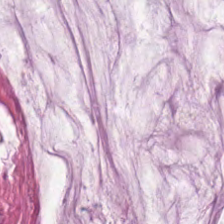FFPE · H&E-stained tissue section — Tissue: mucus.
